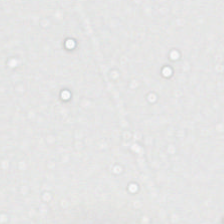Hematoxylin and eosin. WSI patch — Background — no tissue in this field.
